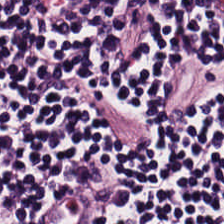Hematoxylin-and-eosin stained section.
Q: Identify the tissue.
A: This is lymphocytic infiltrate.
